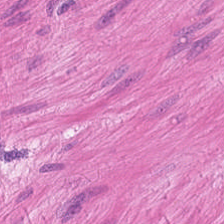Q: What tissue type is shown here?
A: This is muscularis.
